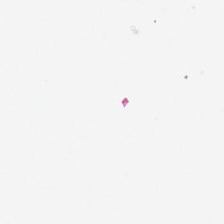Brightfield · formalin-fixed paraffin-embedded section · hematoxylin and eosin — Empty field — empty background.
